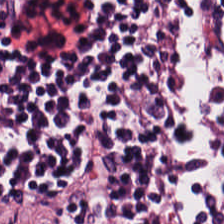H&E-stained tissue section — Tissue class: lymphoid infiltrate.
